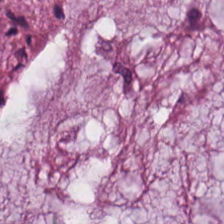H&E stain; FFPE — Q: What tissue is shown?
A: The field shows extracellular mucin.
